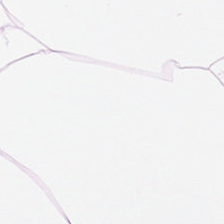The tissue is adipose.
